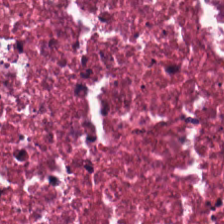Q: Identify the tissue.
A: Debris.
